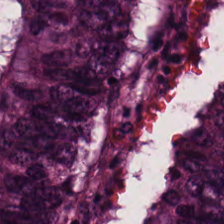H&E patch showing colorectal adenocarcinoma.
